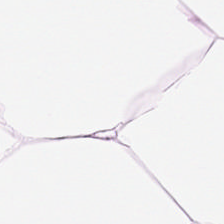Stain: hematoxylin and eosin.
Tile size: 224×224 px patch.
Predominant tissue: fat tissue.
